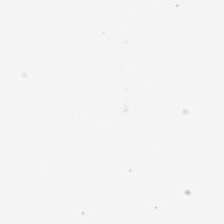WSI patch. Hematoxylin-and-eosin stained section — Q: What is shown here?
A: It is background.
